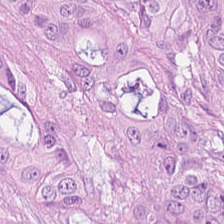H&E-stained tissue section · FFPE tissue section — Tissue type: tumor epithelium.
